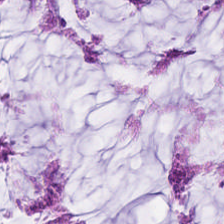{"tissue_type": "extracellular mucin"}
